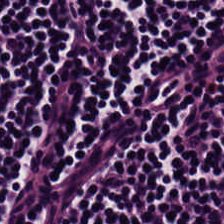Hematoxylin-and-eosin stained section.
The predominant tissue is lymphocyte aggregate.
